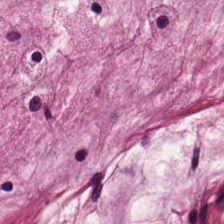0.5 µm per pixel · H&E-stained tissue section. Tissue type = mucin.
